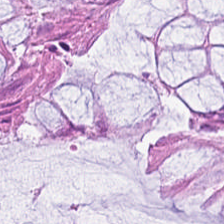Stain: H&E-stained tissue section.
Classification: normal colonic mucosa.
